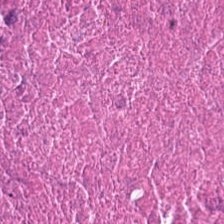Hematoxylin-and-eosin stained section. Histology → cellular debris.
